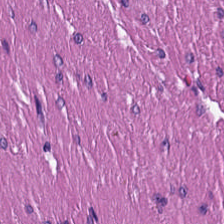H&E stain. Tissue: muscularis.
